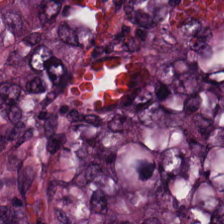Q: What tissue type is shown here?
A: The field shows adenocarcinoma.
